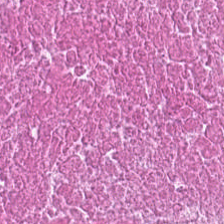H&E stain; WSI patch — Classification: necrotic debris.
